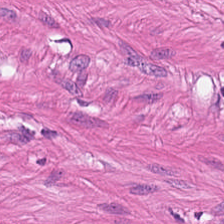H&E-stained tissue section. The predominant tissue is smooth muscle.
